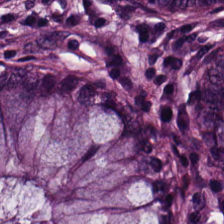224×224 px patch; hematoxylin and eosin.
{"tissue_type": "normal colon mucosa"}
